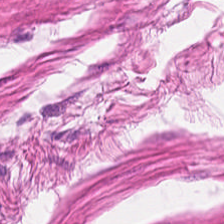Stain: H&E.
Tissue: smooth-muscle tissue.
